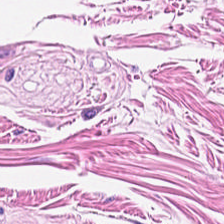Hematoxylin and eosin — {"tissue_type": "smooth muscle"}
